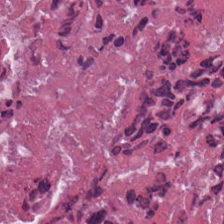20× equivalent magnification. Hematoxylin-and-eosin stained section.
Necrotic debris.
